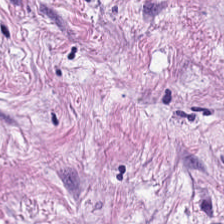Stain: H&E.
Predominant tissue: cancer-associated stroma.
